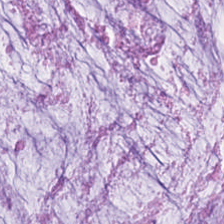Hematoxylin-and-eosin stained section.
{"tissue_type": "mucus"}
